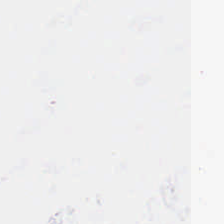Hematoxylin-and-eosin stained section. 0.5 µm/px.
Impression — empty background.
